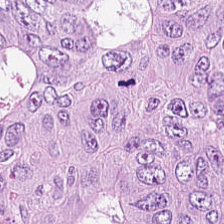H&E-stained tissue section. Q: Identify the tissue.
A: This is colorectal adenocarcinoma epithelium.
